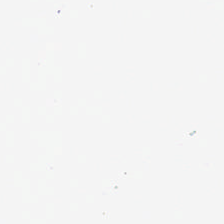Q: What is shown here?
A: It is background (no tissue).
